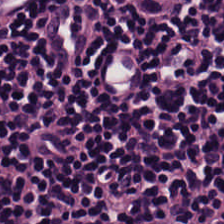Q: What tissue is shown?
A: The field shows lymphocyte aggregate.
